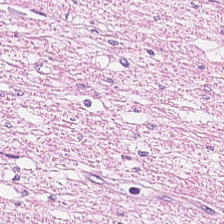H&E — This patch shows smooth-muscle tissue.
